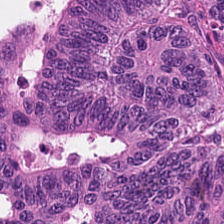H&E stain · 0.5 µm per pixel. Q: What does this patch show?
A: Adenocarcinoma.
